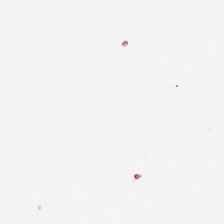H&E. 0.5 microns per pixel.
No tissue.
